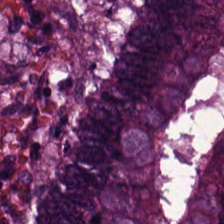Hematoxylin-and-eosin stained section · FFPE tissue section — Tissue = tumor epithelium.
